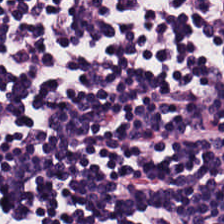The tissue here is lymphoid infiltrate.
